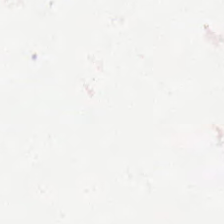Stain: H&E.
Resolution: 20× equivalent magnification.
Field content: background (no tissue).
